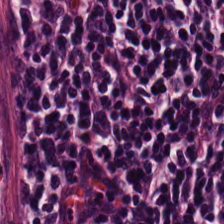H&E patch showing lymphoid infiltrate.
